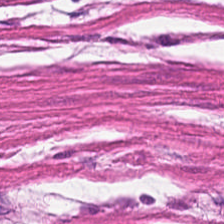20× equivalent magnification; H&E-stained tissue section. {"tissue_type": "smooth muscle"}
